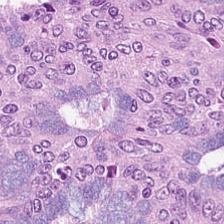Stain: H&E-stained tissue section.
Predominant tissue: adenocarcinoma.
